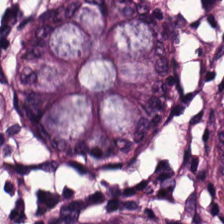H&E-stained tissue section.
Finding → benign colonic mucosa.
